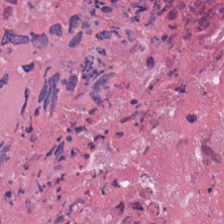H&E-stained tissue section. {"tissue_type": "necrotic debris"}
